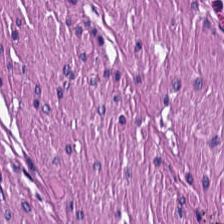This field is muscularis.
